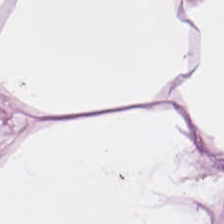Brightfield microscopy. H&E-stained tissue section.
Tissue — adipose.
